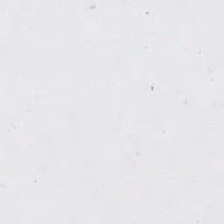Impression → background (no tissue).
